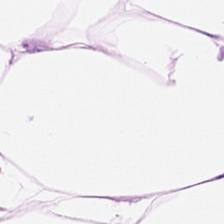Brightfield; H&E — This field is adipocytes.
